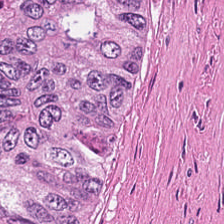Hematoxylin and eosin. This field is debris.
